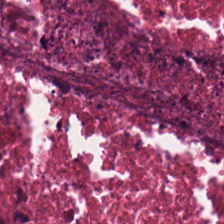224×224 pixel tile; brightfield microscopy; hematoxylin-and-eosin stained section — Q: Identify the tissue.
A: The field shows necrotic debris.
